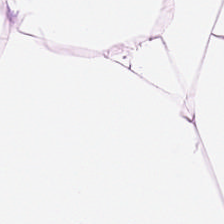H&E-stained tissue section.
Q: What type of tissue is this?
A: Fat tissue.
